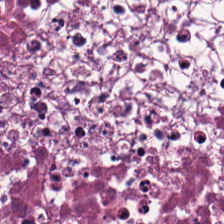224×224 px tile; hematoxylin and eosin. Tissue: debris.
